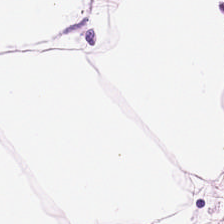Tissue class — adipose tissue.
